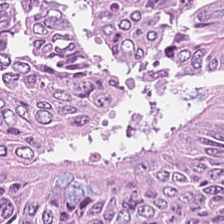0.5 microns per pixel · H&E stain — Histology → colorectal adenocarcinoma.
